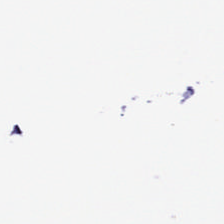H&E stain. Background — no tissue in this field.
